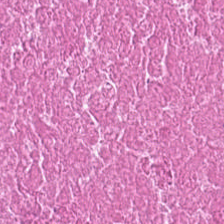224×224 pixel tile; 0.5 µm/px; H&E-stained tissue section — Q: What tissue is shown?
A: This is debris.
